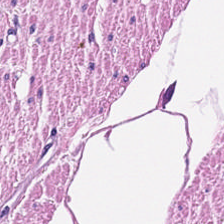H&E stain.
{"tissue_type": "smooth muscle"}
